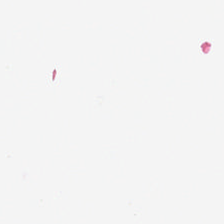Q: What is shown here?
A: The field shows background.
